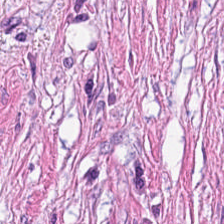Stain: H&E-stained tissue section.
Tissue class: cancer-associated stroma.
